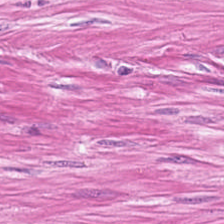H&E stain. 224×224 pixel tile — This patch shows smooth muscle.
